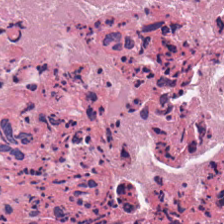Impression → debris.
